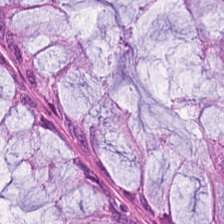Hematoxylin-and-eosin stained section — Predominant tissue — normal colonic mucosa.
